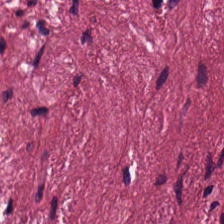H&E stain. Impression — desmoplastic stroma.
